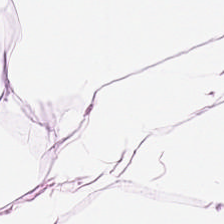Hematoxylin and eosin; FFPE tissue section; 0.5 µm/px.
The predominant tissue is adipocytes.
